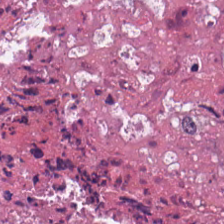Hematoxylin and eosin.
Tissue: cellular debris.
